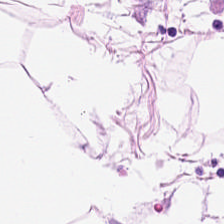H&E — The classification is adipocytes.
